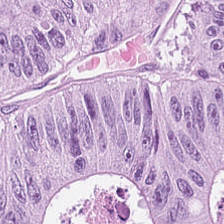Impression — colorectal adenocarcinoma.
